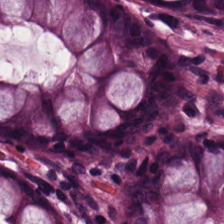224×224 pixel tile · H&E — The tissue here is normal colonic mucosa.
